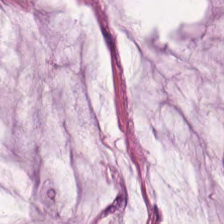Stain: hematoxylin and eosin.
Classification: extracellular mucin.
